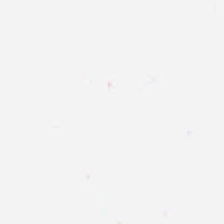Whole-slide-image patch; H&E-stained tissue section. This patch shows background (no tissue).
